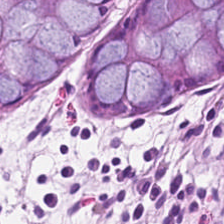This patch shows normal colon mucosa.
